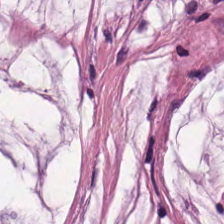Hematoxylin-and-eosin stained section. 0.5 microns per pixel.
Tissue class — mucin.
